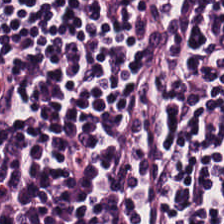224×224 pixel tile · hematoxylin and eosin · FFPE tissue section. Lymphocytic infiltrate.
